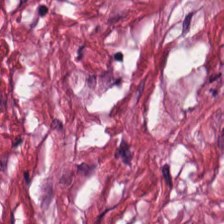H&E. Tissue type: tumor stroma.
